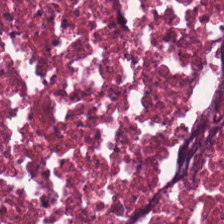H&E — Q: What is shown in this field?
A: The field shows debris.
